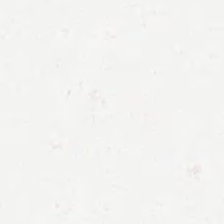H&E.
The field content is empty background.
